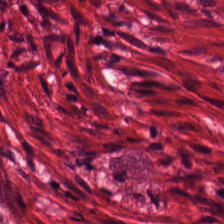Stain: H&E stain.
Tissue type: smooth-muscle tissue.
